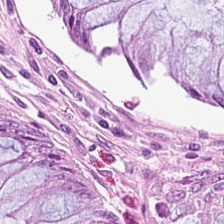224×224 px tile; hematoxylin and eosin; 0.5 µm per pixel — Q: What does this patch show?
A: Normal colon mucosa.
